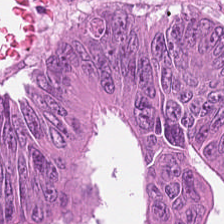Hematoxylin and eosin. This field is adenocarcinoma.
